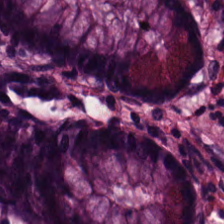Hematoxylin-and-eosin stained section. Q: What does this patch show?
A: This is normal colon mucosa.
